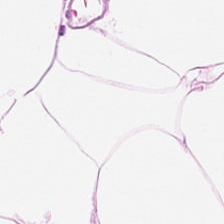H&E stain. Histology → adipose tissue.
